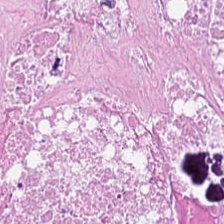Finding → necrotic debris.
